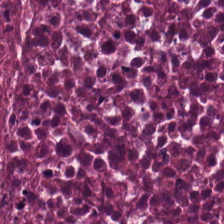Brightfield; hematoxylin-and-eosin stained section.
This patch shows debris.
